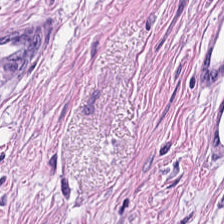H&E stain — Q: Identify the tissue.
A: Smooth muscle.
